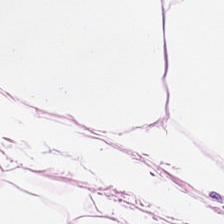The tissue class is adipose.
